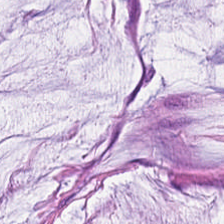Stain: H&E.
Classification: mucin.
